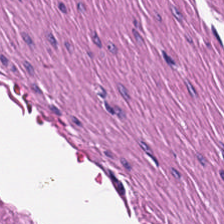The predominant tissue is muscularis.
